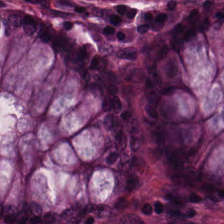H&E patch showing normal colon mucosa.
